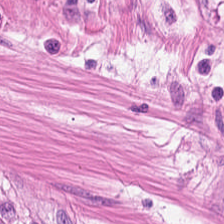20× equivalent magnification; 224×224 px patch; hematoxylin-and-eosin stained section.
Impression → muscularis.
